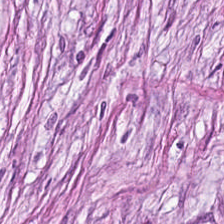H&E. Q: What is shown here?
A: Tumor stroma.
